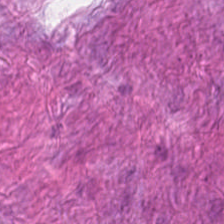Q: Classify this patch.
A: Tumor-associated stroma.
